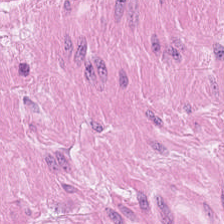224×224 px tile; hematoxylin-and-eosin stained section.
Predominant tissue — muscularis.
